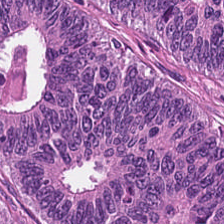H&E — Classification: tumor epithelium.
